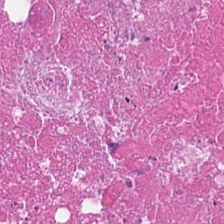Hematoxylin and eosin · 0.5 µm/px. {"tissue_type": "debris"}
